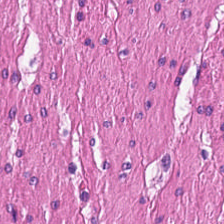Stain: H&E stain.
Preparation: FFPE.
Tissue type: smooth-muscle tissue.
